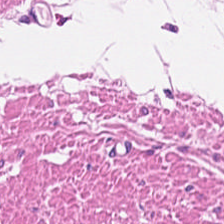H&E-stained tissue section.
The tissue type is muscularis.
